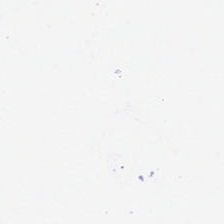Hematoxylin and eosin. No tissue present; background only.
